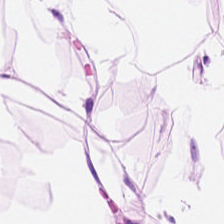H&E-stained tissue section.
Fat tissue.
